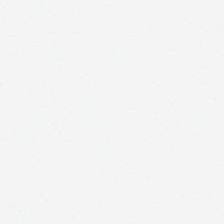Brightfield · H&E stain · 224×224 px tile — No tissue present; background only.
